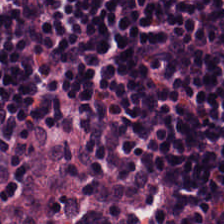H&E — The tissue here is lymphoid infiltrate.
